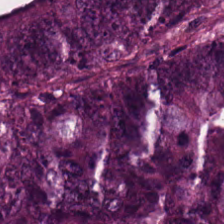The tissue here is colorectal adenocarcinoma.
